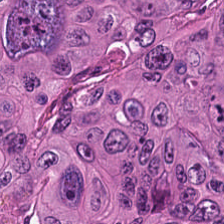Hematoxylin-and-eosin stained section. This patch shows adenocarcinoma.
